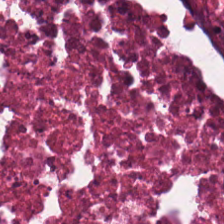Stain: H&E.
Classification: necrotic debris.
